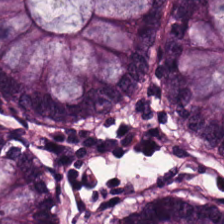H&E · 20× equivalent magnification — Predominantly benign colonic mucosa.
